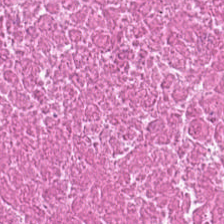Hematoxylin-and-eosin stained section. FFPE. 20× equivalent magnification.
Tissue = cellular debris.
